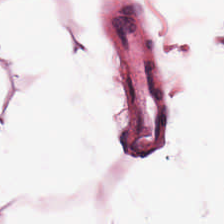H&E.
Tissue type = adipose tissue.
